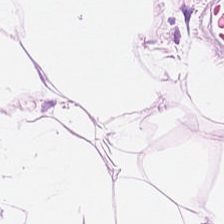This patch shows adipose.
